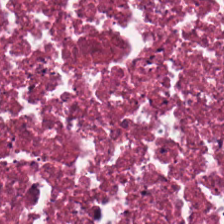Brightfield. H&E-stained tissue section.
Q: What is the predominant tissue type?
A: It is cellular debris.
